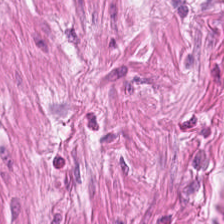H&E-stained tissue section.
Finding → muscularis.
